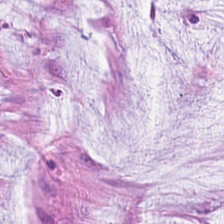Formalin-fixed paraffin-embedded section. H&E stain.
Finding — mucus.
